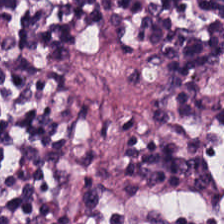Hematoxylin and eosin. 0.5 µm/px. {"tissue_type": "lymphocyte aggregate"}
